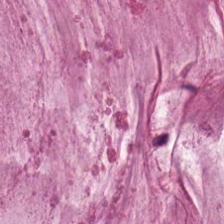0.5 µm per pixel; hematoxylin and eosin; WSI patch. Q: What is shown in this field?
A: Mucin.
